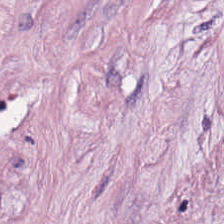H&E-stained tissue section — Tumor-associated stroma.
